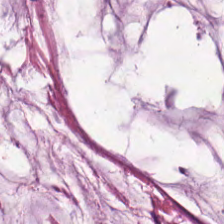H&E. The tissue class is extracellular mucin.
